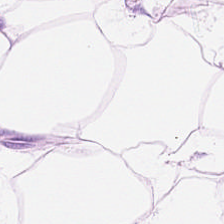20× equivalent magnification. H&E stain. WSI patch — The tissue here is adipose.
